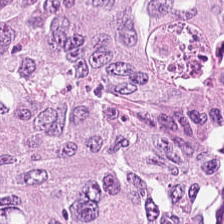H&E.
Q: What is shown in this field?
A: It is tumor epithelium.
